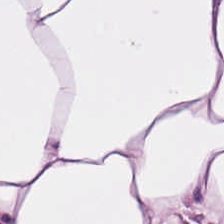This patch shows adipose tissue.
